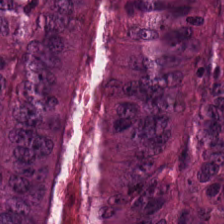Q: What tissue type is shown here?
A: Colorectal adenocarcinoma.
